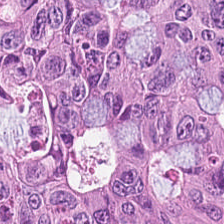H&E · 0.5 µm/px. This field is malignant epithelium.
